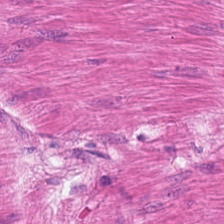0.5 µm/px; H&E stain — Smooth muscle.
